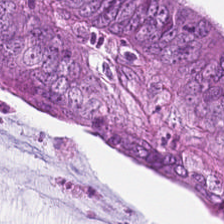Brightfield; 224×224 px patch; hematoxylin and eosin. Histology — colorectal adenocarcinoma epithelium.
